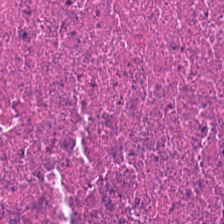Tissue type — necrotic debris.
